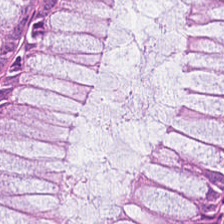H&E. Classification = normal colonic mucosa.
